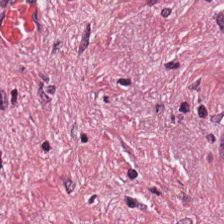H&E-stained section; the field shows tumor stroma.
